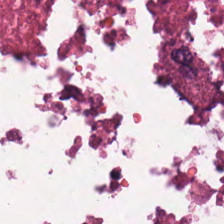224×224 px tile; H&E-stained tissue section — Impression — debris.
